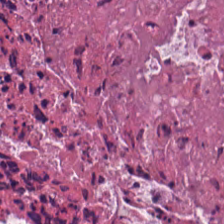Hematoxylin-and-eosin stained section.
The predominant tissue is cellular debris.
